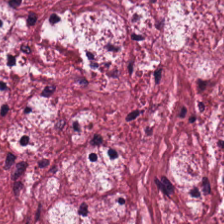H&E-stained tissue section.
The tissue here is tumor stroma.
